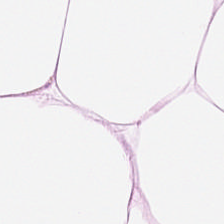H&E.
Tissue type: fat tissue.
